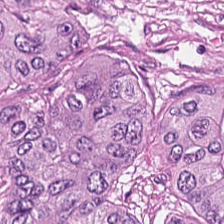This field is malignant epithelium.
